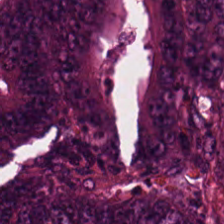Stain: H&E stain.
Tissue: malignant epithelium.
